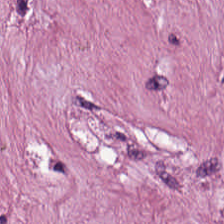H&E-stained tissue section; WSI patch; 0.5 µm per pixel.
The predominant tissue is tumor-associated stroma.
